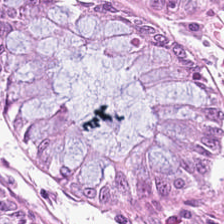The tissue here is non-neoplastic colon mucosa.
